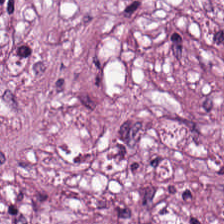Hematoxylin and eosin — Tissue type: desmoplastic stroma.
